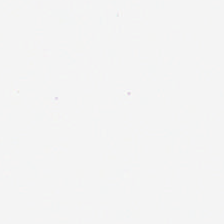Brightfield microscopy. H&E.
Background — no tissue in this field.
